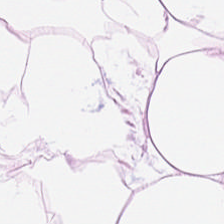Hematoxylin-and-eosin stained section. 20× equivalent magnification. This field is fat tissue.
